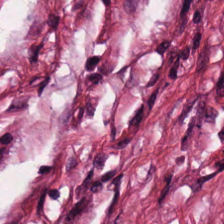The predominant tissue is tumor stroma.
